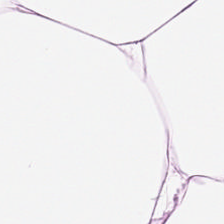H&E stain. FFPE tissue section.
Tissue type — adipose.
